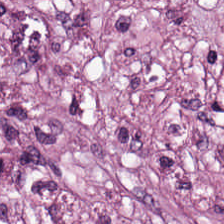H&E stain — Q: What tissue type is shown here?
A: It is tumor stroma.
